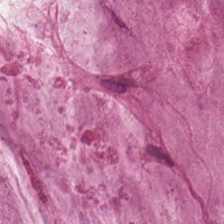224×224 pixel tile. 20× equivalent magnification. H&E stain.
Tissue class = extracellular mucin.
